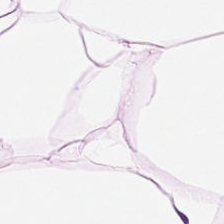Formalin-fixed paraffin-embedded section; H&E — Adipose tissue.
